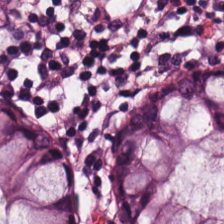H&E. Whole-slide-image patch — Q: What tissue is shown?
A: Normal colonic mucosa.
